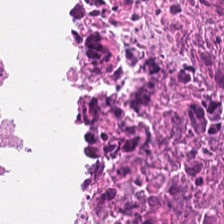H&E — cellular debris.
